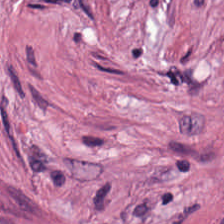Stain: hematoxylin and eosin.
Resolution: 0.5 microns per pixel.
Tile size: 224×224 pixel tile.
Tissue type: desmoplastic stroma.
